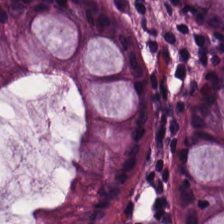0.5 microns per pixel · H&E.
Q: What type of tissue is this?
A: Normal colon mucosa.
